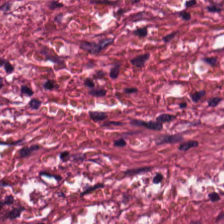Hematoxylin-and-eosin stained section.
Finding → cancer-associated stroma.
